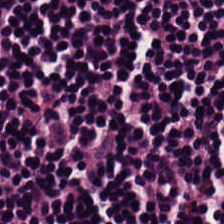Hematoxylin and eosin.
The predominant tissue is lymphocyte aggregate.
